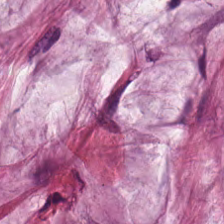224×224 px patch. Hematoxylin-and-eosin stained section — Finding → mucus.
